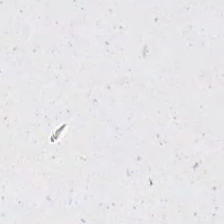H&E — Q: What does this patch show?
A: This is background (no tissue).
